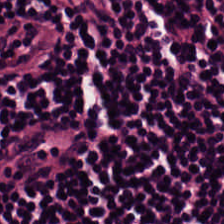Lymphocyte aggregate.
